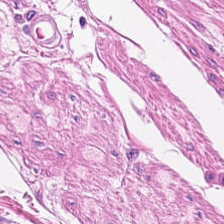H&E. Tissue type: smooth-muscle tissue.
